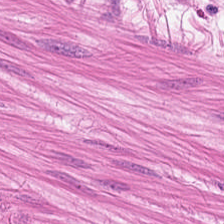H&E-stained tissue section.
{"tissue_type": "smooth-muscle tissue"}
